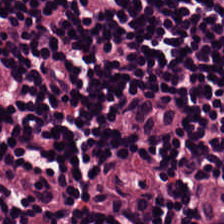0.5 µm per pixel · H&E-stained tissue section.
Tissue type — lymphocyte aggregate.
